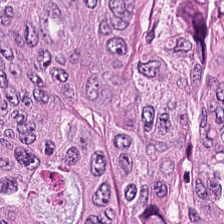Q: What is the predominant tissue type?
A: The field shows colorectal adenocarcinoma epithelium.
